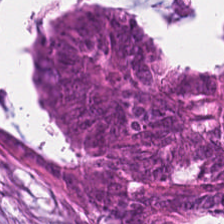H&E.
Predominant tissue — malignant epithelium.
